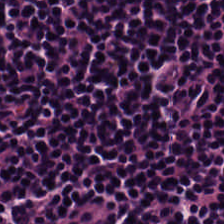H&E-stained tissue section.
The tissue here is lymphocytes.
